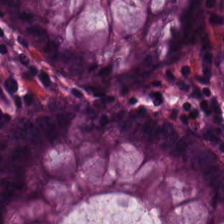Hematoxylin-and-eosin stained section. Formalin-fixed paraffin-embedded section. Showing normal colon mucosa.
